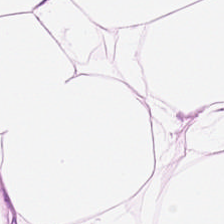Stain: H&E.
Predominant tissue: fat tissue.
